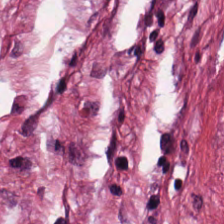This patch shows desmoplastic stroma.
